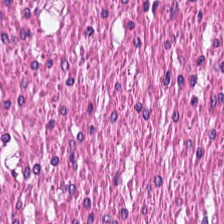H&E-stained tissue section — Q: What does this patch show?
A: The field shows smooth muscle.
